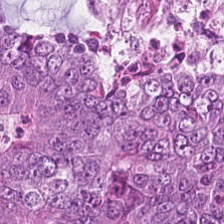Stain: hematoxylin and eosin.
Acquisition: whole-slide-image patch.
Tile size: 224×224 pixel tile.
Tissue type: adenocarcinoma.
